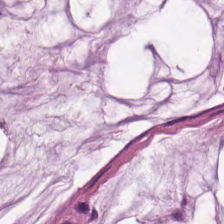H&E stain — Q: Classify this patch.
A: The field shows mucus.
